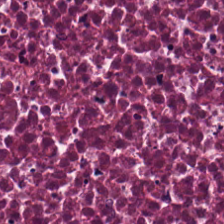Hematoxylin and eosin. Predominantly necrotic debris.
